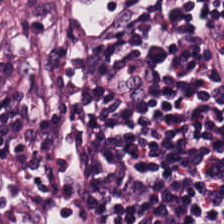Stain: hematoxylin and eosin.
Tissue: lymphocyte aggregate.
